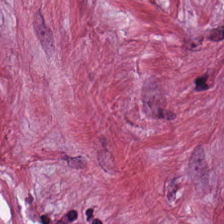Finding → cancer-associated stroma.
